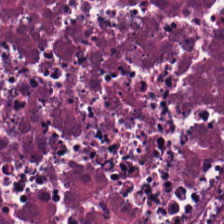{"tissue_type": "cellular debris"}
